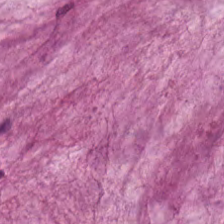224×224 px tile. Brightfield microscopy. H&E stain — The tissue type is mucus.
